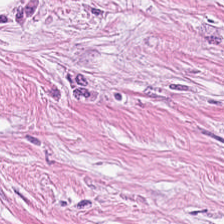H&E-stained section; the field shows tumor-associated stroma.
